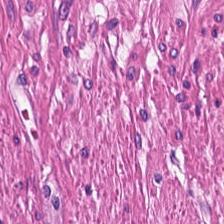Finding — smooth muscle.
